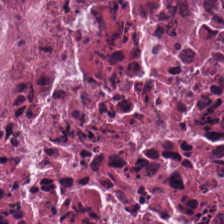This patch shows cellular debris.
